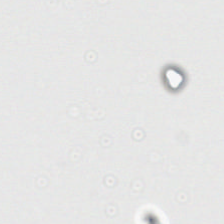Hematoxylin-and-eosin stained section — Background — no tissue in this field.
